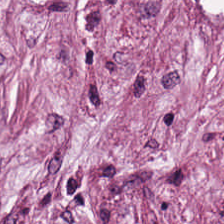Hematoxylin and eosin. Showing cancer-associated stroma.
